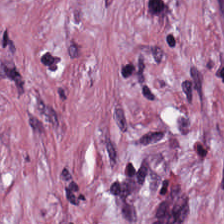0.5 µm per pixel. Hematoxylin and eosin — This patch shows cancer-associated stroma.
